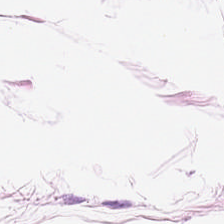Brightfield microscopy. H&E-stained tissue section. Histology → adipose tissue.
